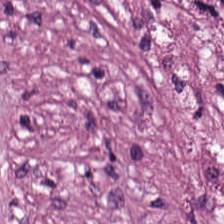Q: Identify the tissue.
A: This is tumor-associated stroma.
